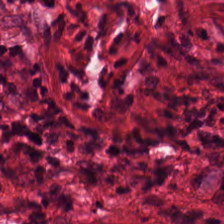Stain: hematoxylin and eosin.
Classification: cancer-associated stroma.
